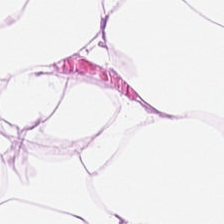Stain: hematoxylin and eosin.
Acquisition: brightfield microscopy.
Resolution: 0.5 µm/px.
Tissue type: adipose tissue.
